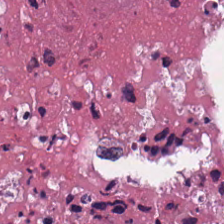0.5 microns per pixel · hematoxylin and eosin. Predominantly necrotic debris.
